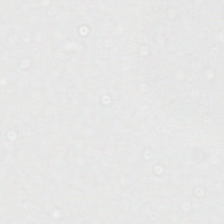Empty field — background.
